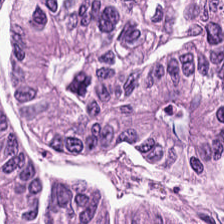Tissue class — colorectal adenocarcinoma epithelium.
